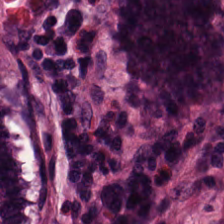H&E stain · formalin-fixed paraffin-embedded section · whole-slide-image patch. Impression → benign colonic mucosa.
